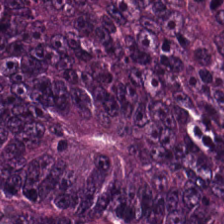H&E — Tissue: colorectal adenocarcinoma epithelium.
